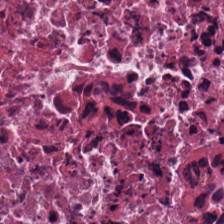Stain: hematoxylin and eosin.
Tissue: debris.
